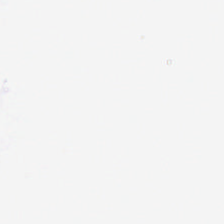H&E-stained tissue section.
Content — background.
